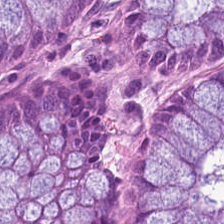H&E stain.
Q: What is the predominant tissue type?
A: This is normal colonic mucosa.
